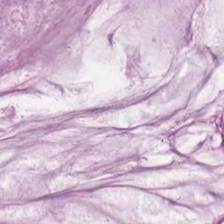H&E.
Tissue: mucin.
